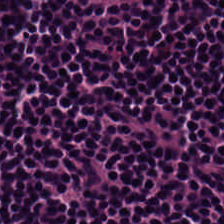H&E-stained tissue section.
The predominant tissue is lymphocyte aggregate.
